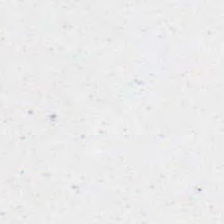Hematoxylin and eosin · 224×224 px patch — This patch shows no tissue.
